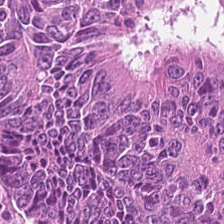H&E-stained tissue section. {"tissue_type": "adenocarcinoma"}
